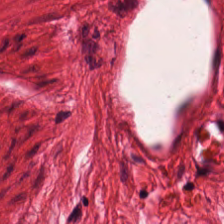H&E stain. The tissue class is muscularis.
